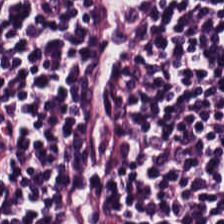Stain: hematoxylin-and-eosin stained section.
Preparation: formalin-fixed paraffin-embedded section.
Resolution: 0.5 µm/px.
Predominant tissue: lymphoid infiltrate.
